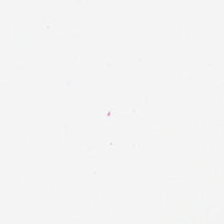{"content": "background (no tissue)"}
